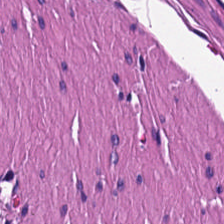Stain: hematoxylin-and-eosin stained section.
Resolution: 20× equivalent magnification.
Tissue: smooth-muscle tissue.
